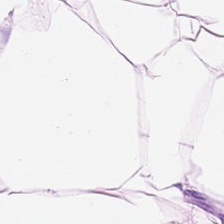Stain: hematoxylin and eosin.
Acquisition: brightfield microscopy.
Predominant tissue: adipose tissue.
